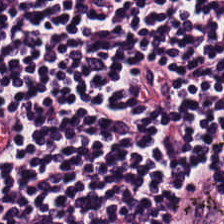H&E; 0.5 microns per pixel.
{"tissue_type": "lymphocytic infiltrate"}
